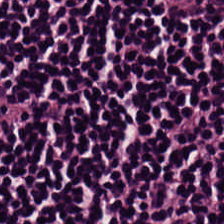Brightfield. FFPE. Hematoxylin and eosin. Tissue type = lymphocytic infiltrate.
